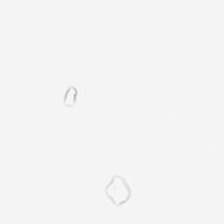Brightfield. 0.5 µm per pixel. H&E. Q: What is shown in this field?
A: This is background (no tissue).
